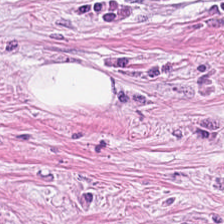H&E-stained tissue section showing tumor-associated stroma.
